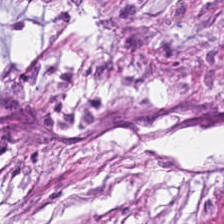H&E stain; 0.5 µm per pixel; 224×224 pixel tile.
Finding → desmoplastic stroma.
